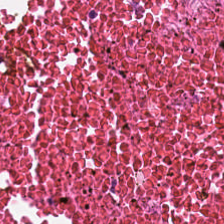Stain: H&E.
Tile size: 224×224 px tile.
Tissue type: cellular debris.
